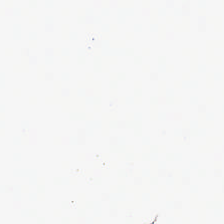H&E. Impression — background.
